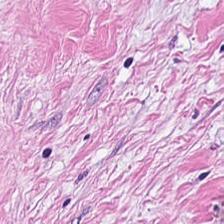Stain: H&E.
Resolution: 0.5 µm/px.
Predominant tissue: desmoplastic stroma.
